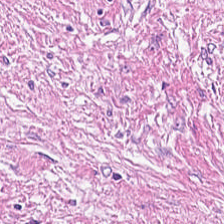H&E stain — Desmoplastic stroma.
